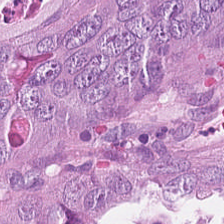H&E-stained tissue section — Q: What is shown in this field?
A: Malignant epithelium.
